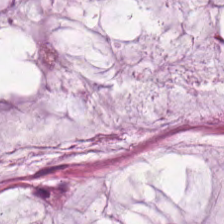H&E stain · brightfield microscopy.
Extracellular mucin.
